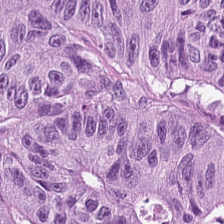Stain: hematoxylin-and-eosin stained section.
Classification: tumor epithelium.
